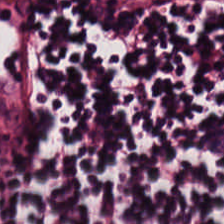H&E.
{"tissue_type": "lymphoid infiltrate"}
